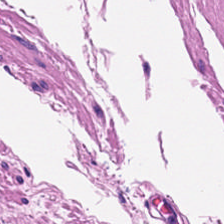H&E · 224×224 px tile · WSI patch — The tissue is muscularis.
